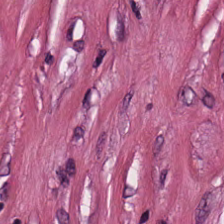Hematoxylin-and-eosin stained section. The predominant tissue is tumor stroma.
